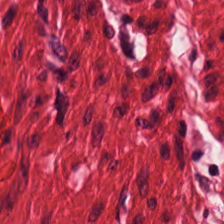Hematoxylin and eosin. Q: What is shown in this field?
A: Smooth-muscle tissue.
